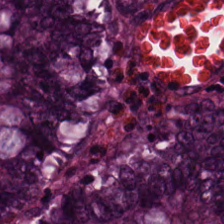Stain: H&E stain.
Tissue class: non-neoplastic colon mucosa.
